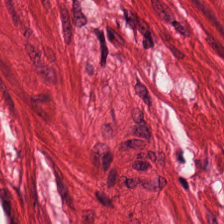Hematoxylin-and-eosin stained section.
Q: What type of tissue is this?
A: The field shows smooth muscle.
